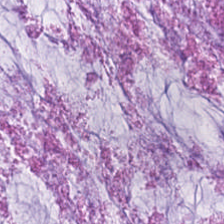H&E stain. FFPE. {"tissue_type": "mucin"}
